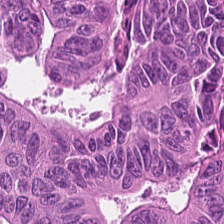H&E-stained tissue section.
This field is tumor epithelium.
